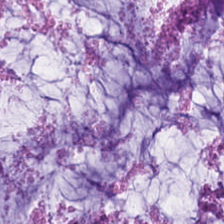Hematoxylin and eosin.
Q: What does this patch show?
A: Mucin.
